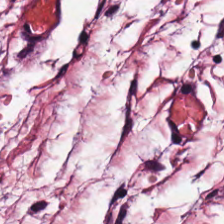Classification — tumor stroma.
